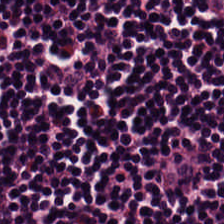Hematoxylin-and-eosin stained section.
Lymphocytic infiltrate.
